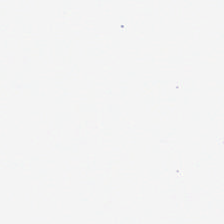H&E stain.
Q: What is shown in this field?
A: This is no tissue.
